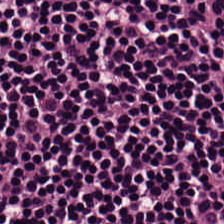Hematoxylin-and-eosin stained section. Q: What is shown in this field?
A: Lymphocytes.
